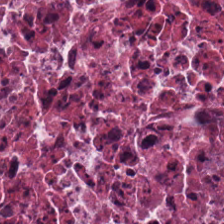The predominant tissue is debris.
